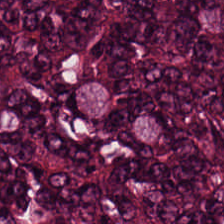Brightfield microscopy. 0.5 µm per pixel. Hematoxylin and eosin — {"tissue_type": "malignant epithelium"}
